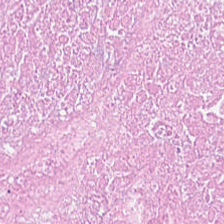Formalin-fixed paraffin-embedded section. H&E. Classification — necrotic debris.
